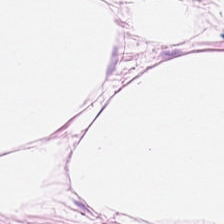H&E stain. Tissue class = adipose.
